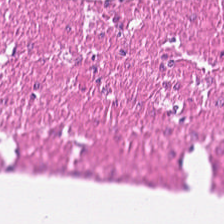H&E. Predominantly muscularis.
